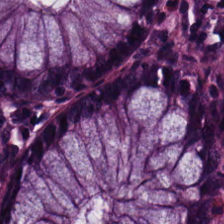Tissue class: normal colon mucosa.
